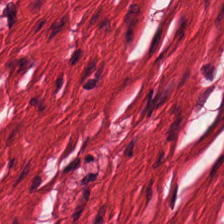The tissue here is muscularis.
